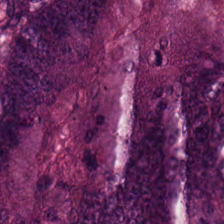H&E stain; brightfield — Colorectal adenocarcinoma epithelium.
